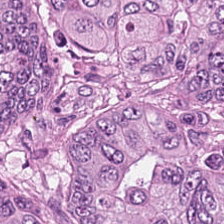Tissue — malignant epithelium.
